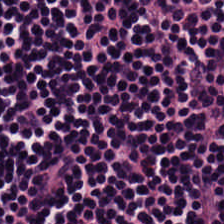The predominant tissue is lymphocyte aggregate.
